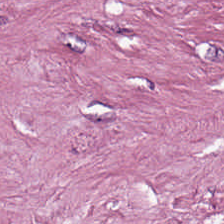Brightfield microscopy · H&E stain. Q: What tissue type is shown here?
A: The field shows tumor-associated stroma.
